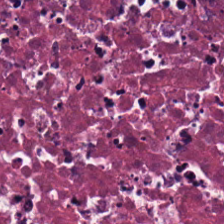Hematoxylin-and-eosin stained section — The tissue class is debris.
